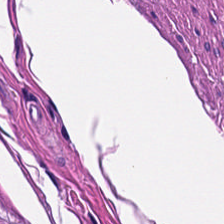Hematoxylin and eosin · 20× equivalent magnification · 224×224 pixel tile.
The tissue type is smooth-muscle tissue.
